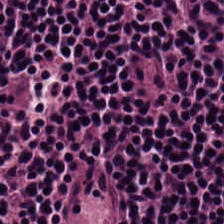H&E stain.
Histology → lymphocytic infiltrate.
